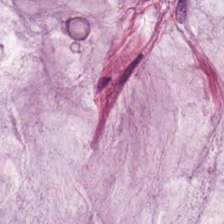H&E-stained tissue section — Tissue = mucin.
